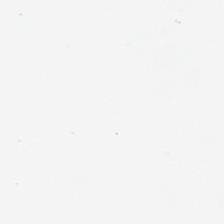Q: What is shown in this field?
A: The field shows empty background.
